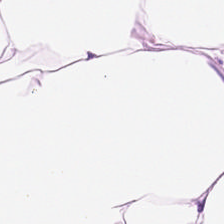Stain: hematoxylin-and-eosin stained section.
Tissue class: adipose.
